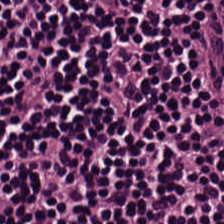H&E stain. WSI patch. 224×224 px patch.
Q: What is shown in this field?
A: Lymphocyte aggregate.
